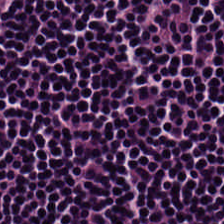Hematoxylin and eosin. Predominantly lymphoid infiltrate.
